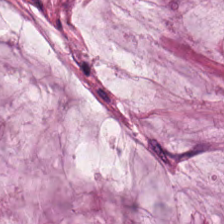The predominant tissue is mucin.
